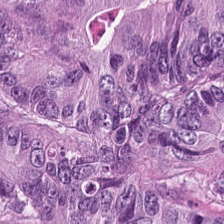Stain: hematoxylin-and-eosin stained section.
Classification: malignant epithelium.
